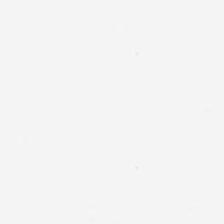Brightfield; 20× equivalent magnification; H&E stain — Background — no tissue in this field.
